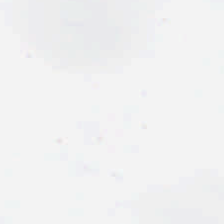Hematoxylin-and-eosin stained section. 0.5 µm per pixel.
Field content = no tissue.
